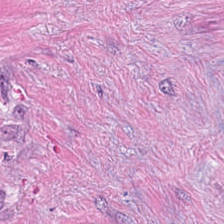H&E · WSI patch — The predominant tissue is desmoplastic stroma.
